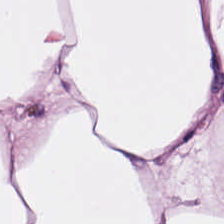Predominantly adipose.
